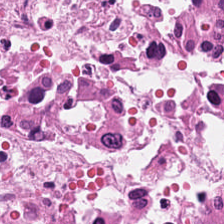H&E stain.
Impression → necrotic debris.
